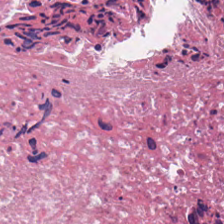Hematoxylin and eosin.
Classification: cellular debris.
